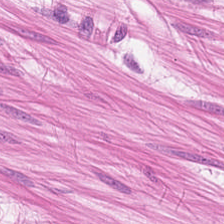Predominant tissue: smooth muscle.
